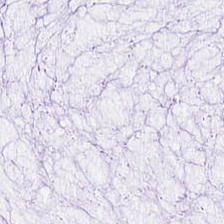Hematoxylin and eosin — This field is mucin.
